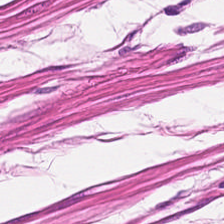FFPE · hematoxylin and eosin — Predominant tissue: muscularis.
